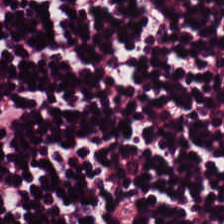This patch shows lymphoid infiltrate.
